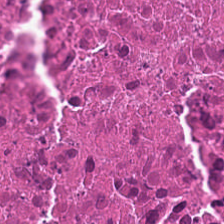FFPE tissue section. 224×224 px patch. H&E. Showing necrotic debris.
